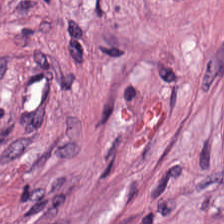Hematoxylin-and-eosin stained section. Predominantly desmoplastic stroma.
